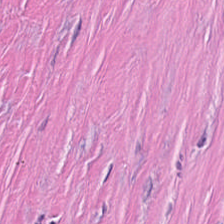This patch shows tumor-associated stroma.
